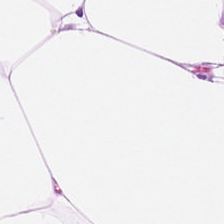H&E stain. WSI patch — Showing fat tissue.
